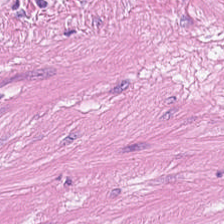0.5 microns per pixel; brightfield; hematoxylin-and-eosin stained section — This patch shows muscularis.
